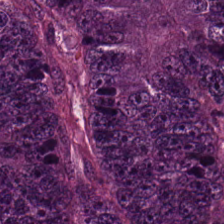Hematoxylin and eosin.
Q: Classify this patch.
A: It is tumor epithelium.
